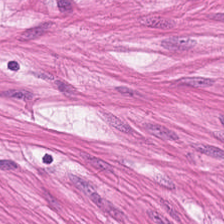H&E stain. The predominant tissue is smooth-muscle tissue.
